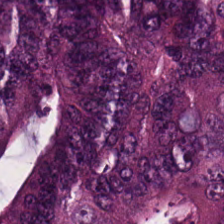{"tissue_type": "colorectal adenocarcinoma epithelium"}
